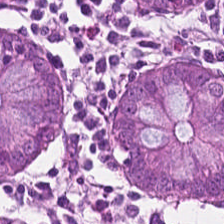Hematoxylin-and-eosin stained section; 224×224 px patch. The predominant tissue is benign colonic mucosa.
